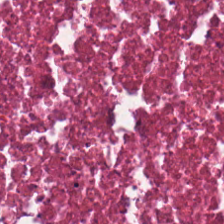Showing necrotic debris.
